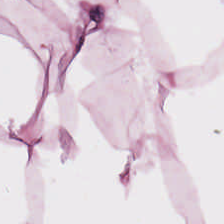Formalin-fixed paraffin-embedded section. Hematoxylin-and-eosin stained section. 224×224 px tile — Classification: adipose.
